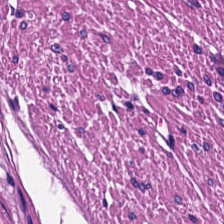Hematoxylin and eosin; 224×224 pixel tile — Q: What does this patch show?
A: The field shows muscularis.
